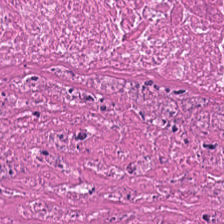H&E stain.
Q: What is shown here?
A: It is debris.
